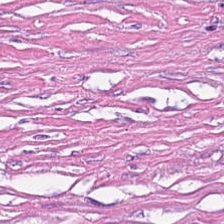Stain: H&E-stained tissue section.
Resolution: 0.5 microns per pixel.
Tissue class: desmoplastic stroma.
